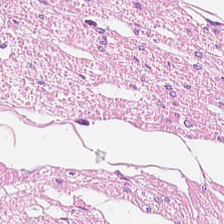Q: What tissue type is shown here?
A: This is smooth muscle.
